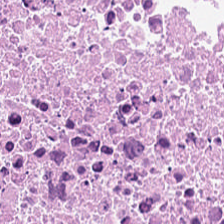Whole-slide-image patch; 224×224 px patch; H&E-stained tissue section — Finding → necrotic debris.
